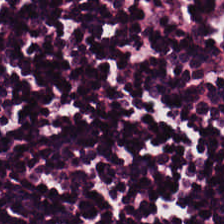This field is lymphoid infiltrate.
